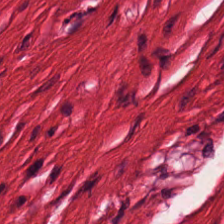H&E stain.
Histology — smooth-muscle tissue.
